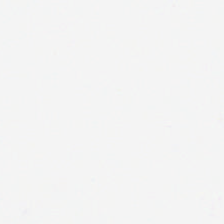FFPE. H&E. 0.5 µm/px — Finding → empty background.
